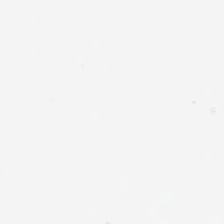H&E stain. Impression → no tissue.
